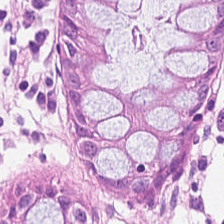H&E-stained section; the field shows normal colon mucosa.
